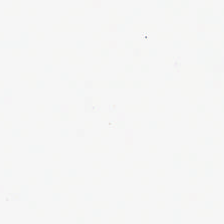Stain: H&E-stained tissue section.
Field content: empty background.
